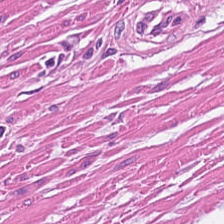H&E stain — Q: What is the predominant tissue type?
A: The field shows muscularis.
